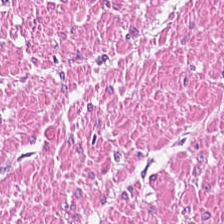Hematoxylin and eosin. Q: Classify this patch.
A: Smooth muscle.
